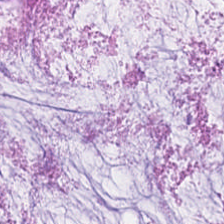Stain: H&E stain.
Acquisition: WSI patch.
Resolution: 0.5 µm per pixel.
Classification: extracellular mucin.
